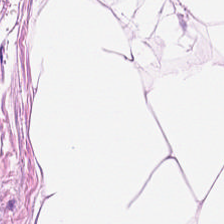0.5 µm/px. Hematoxylin and eosin — This patch shows adipocytes.
